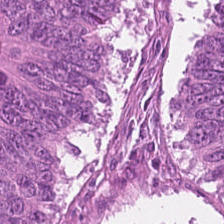Hematoxylin-and-eosin stained section.
Predominantly colorectal adenocarcinoma.
